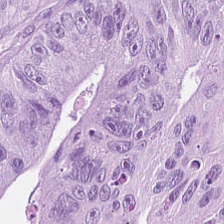FFPE tissue section · hematoxylin-and-eosin stained section · whole-slide-image patch. This field is colorectal adenocarcinoma epithelium.
